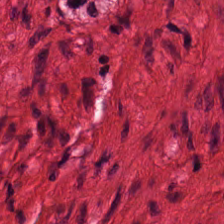H&E.
{"tissue_type": "muscularis"}
